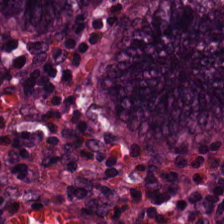Stain: hematoxylin and eosin.
Preparation: formalin-fixed paraffin-embedded section.
Tissue type: non-neoplastic colon mucosa.
